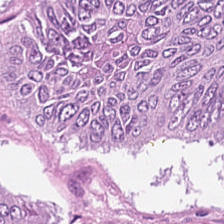Formalin-fixed paraffin-embedded section. H&E-stained tissue section. 20× equivalent magnification. Q: What is the predominant tissue type?
A: It is malignant epithelium.
